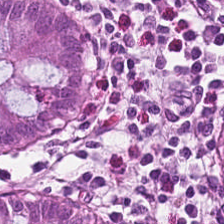Stain: H&E.
Preparation: formalin-fixed paraffin-embedded section.
Predominant tissue: normal colonic mucosa.
